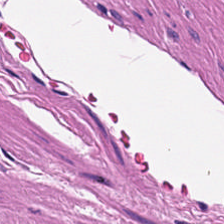224×224 px tile. H&E. The predominant tissue is smooth muscle.
